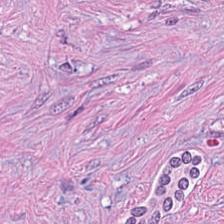Hematoxylin and eosin; whole-slide-image patch; 0.5 microns per pixel.
This field is tumor stroma.
